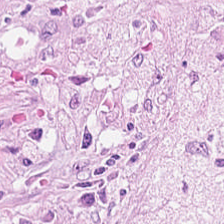H&E · formalin-fixed paraffin-embedded section.
Tissue class — tumor stroma.
